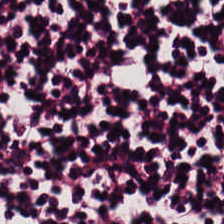H&E — Q: What tissue type is shown here?
A: Lymphocyte aggregate.
